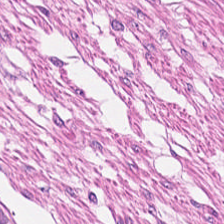224×224 px patch · hematoxylin-and-eosin stained section. Smooth-muscle tissue.
